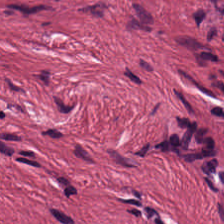Hematoxylin and eosin · brightfield microscopy · 20× equivalent magnification.
This patch shows tumor stroma.
